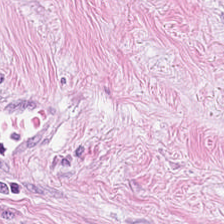H&E-stained tissue section. This patch shows cancer-associated stroma.
